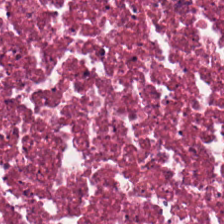H&E-stained tissue section — Debris.
